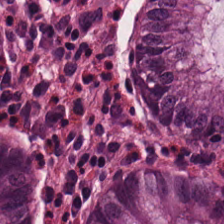0.5 µm/px · H&E-stained tissue section. Tissue class: normal colon mucosa.
